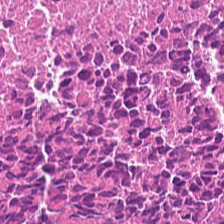H&E.
{"tissue_type": "necrotic debris"}
